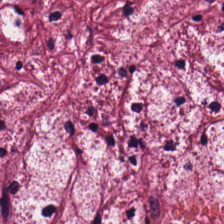H&E.
Finding → desmoplastic stroma.
